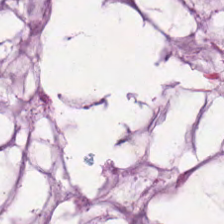Brightfield microscopy · 224×224 px patch · H&E-stained tissue section. Mucus.
